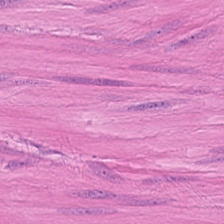Stain: H&E.
Predominant tissue: smooth-muscle tissue.
